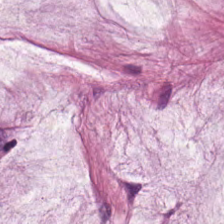Hematoxylin-and-eosin stained section. Whole-slide-image patch — This field is mucin.
